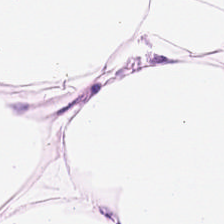FFPE. Hematoxylin and eosin — Finding → adipose.
